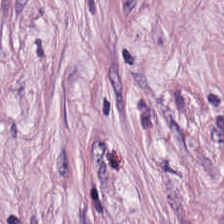Hematoxylin-and-eosin stained section — This patch shows tumor-associated stroma.
